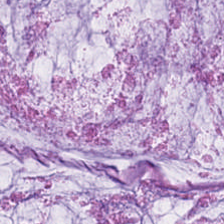H&E. Histology → mucus.
